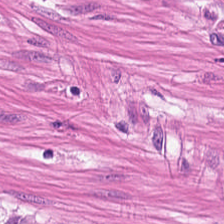Stain: H&E-stained tissue section.
Tissue: smooth muscle.
